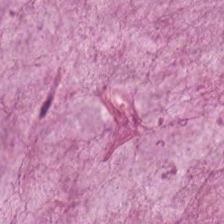Whole-slide-image patch · H&E. This field is mucus.
